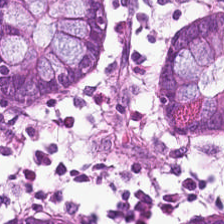H&E — normal colonic mucosa.
